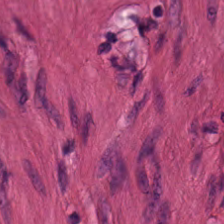Hematoxylin and eosin · 224×224 px patch.
Q: What tissue type is shown here?
A: The field shows smooth muscle.
